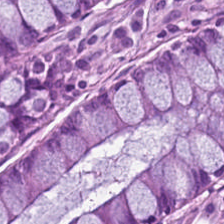Hematoxylin and eosin — Normal colon mucosa.
